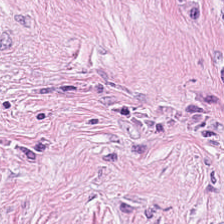Hematoxylin and eosin — The tissue here is tumor stroma.
